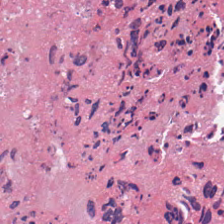Tissue type = debris.
